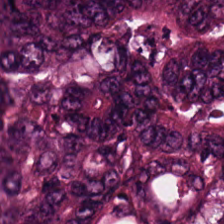Stain: H&E-stained tissue section.
Tissue class: malignant epithelium.
